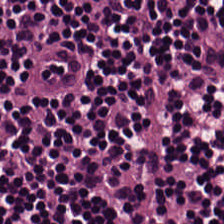Predominant tissue: lymphocytes.
